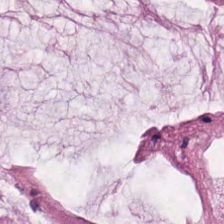FFPE · hematoxylin-and-eosin stained section · 0.5 microns per pixel.
The tissue here is mucin.
